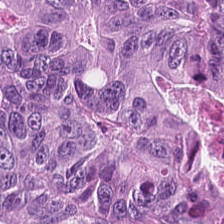FFPE tissue section · H&E stain. Histology — tumor epithelium.
